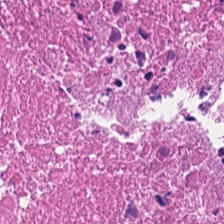H&E — Impression → necrotic debris.
